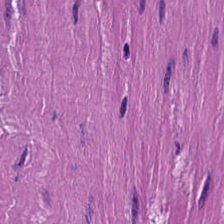Stain: hematoxylin and eosin.
Predominant tissue: muscularis.
